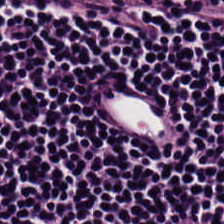H&E; formalin-fixed paraffin-embedded section — The predominant tissue is lymphocytic infiltrate.
